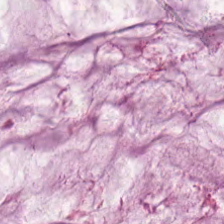Predominantly mucus.
